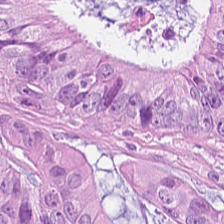H&E.
{"tissue_type": "malignant epithelium"}
